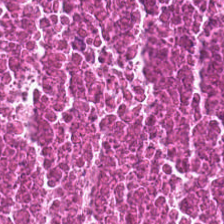Tissue type — necrotic debris.
